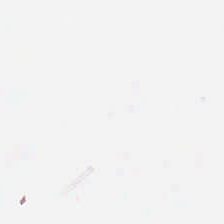Stain: H&E.
Content: no tissue.
